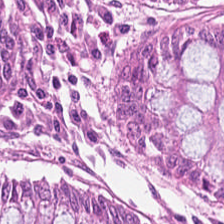Whole-slide-image patch; hematoxylin and eosin.
Finding — benign colonic mucosa.
